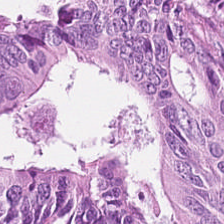Stain: hematoxylin and eosin.
Preparation: formalin-fixed paraffin-embedded section.
Tissue class: malignant epithelium.
